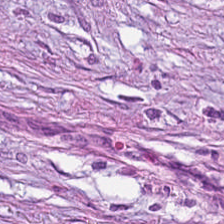H&E-stained tissue section. 224×224 px tile.
Showing desmoplastic stroma.
